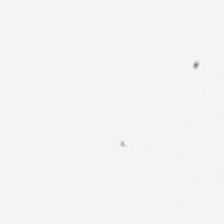H&E stain — Content: background.
